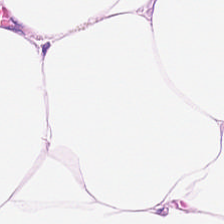Hematoxylin-and-eosin stained section.
This patch shows adipose.
